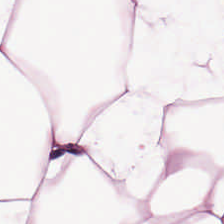H&E stain; 0.5 microns per pixel; 224×224 pixel tile.
This patch shows adipocytes.
